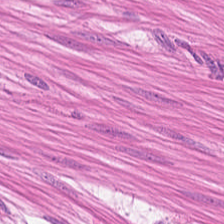H&E-stained tissue section showing smooth muscle.
